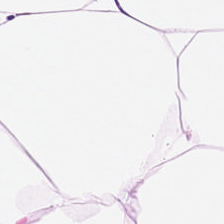FFPE. H&E stain — Showing adipocytes.
